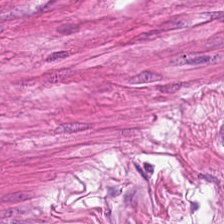Hematoxylin and eosin. The tissue here is muscularis.
